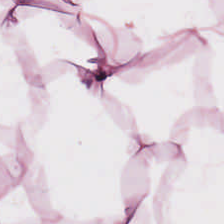H&E · formalin-fixed paraffin-embedded section.
This field is fat tissue.
